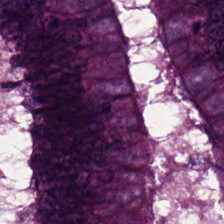Hematoxylin and eosin — Q: What tissue type is shown here?
A: It is malignant epithelium.
